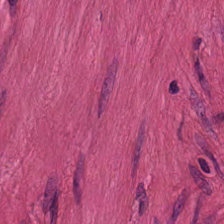H&E-stained tissue section; FFPE — The predominant tissue is smooth muscle.
